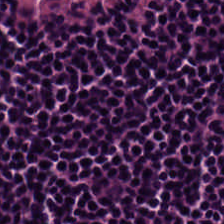H&E-stained tissue section. Finding — lymphocyte aggregate.
